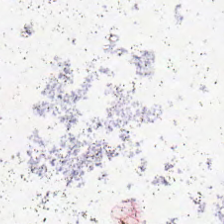{"content": "background"}
